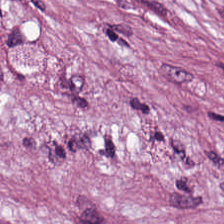Formalin-fixed paraffin-embedded section. Whole-slide-image patch. H&E.
Tissue: cancer-associated stroma.
